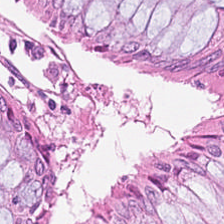H&E-stained tissue section. Impression → non-neoplastic colon mucosa.
